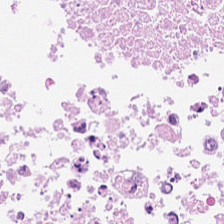H&E-stained tissue section. FFPE — {"tissue_type": "necrotic debris"}
